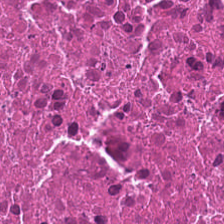WSI patch; 20× equivalent magnification; H&E stain — The tissue here is cellular debris.
